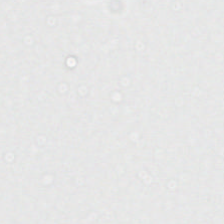H&E stain. 0.5 µm/px — Q: Classify this patch.
A: This is background.
